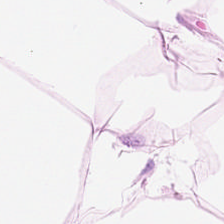H&E — Adipose tissue.
